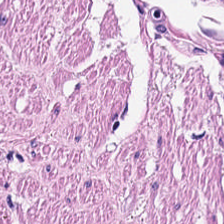Predominantly smooth muscle.
